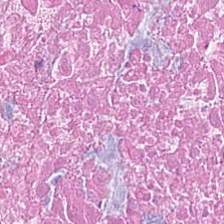H&E-stained tissue section.
Finding → necrotic debris.
